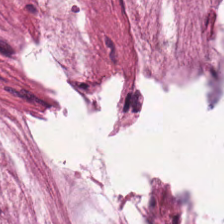FFPE tissue section. H&E-stained tissue section. WSI patch.
Q: What tissue is shown?
A: It is mucus.
